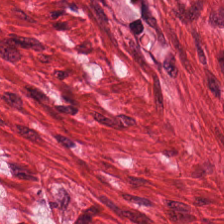H&E stain. 0.5 microns per pixel. FFPE. Predominant tissue = smooth muscle.
